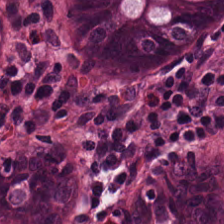H&E-stained tissue section. WSI patch.
Classification: benign colonic mucosa.
